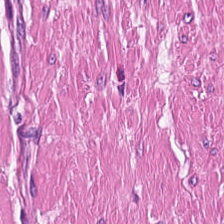H&E.
The tissue is smooth-muscle tissue.
